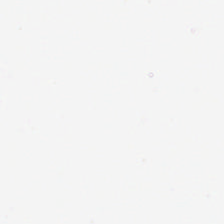H&E stain; brightfield — Field content: no tissue.
